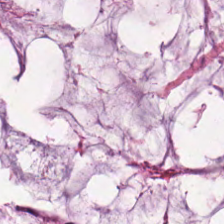Hematoxylin-and-eosin stained section · FFPE — This patch shows extracellular mucin.
